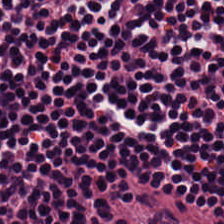Hematoxylin and eosin. The tissue here is lymphoid infiltrate.
